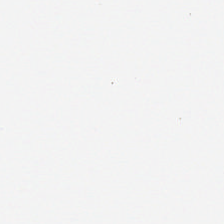Brightfield. H&E-stained tissue section.
{"content": "background (no tissue)"}
